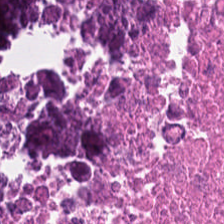Hematoxylin and eosin.
Q: What does this patch show?
A: Debris.
